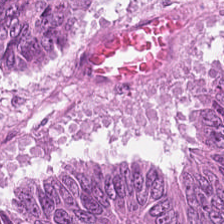H&E-stained tissue section. WSI patch.
Impression — colorectal adenocarcinoma epithelium.
